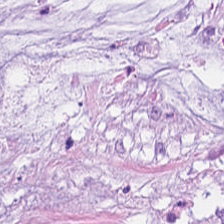{"tissue_type": "extracellular mucin"}
